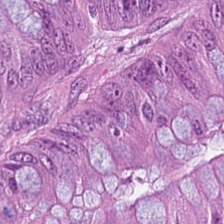Histology — colorectal adenocarcinoma epithelium.
